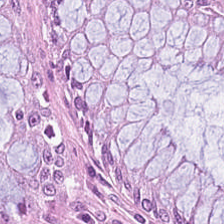H&E-stained tissue section; brightfield microscopy — Q: What does this patch show?
A: This is normal colonic mucosa.
